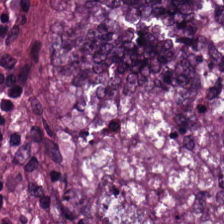FFPE · H&E. Predominant tissue = adenocarcinoma.
